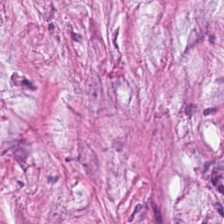The tissue class is cancer-associated stroma.
